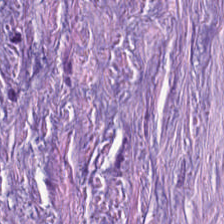20× equivalent magnification · H&E stain · 224×224 px tile.
{"tissue_type": "desmoplastic stroma"}
